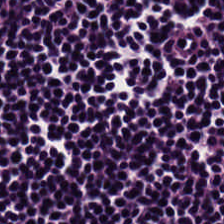H&E stain — Classification — lymphoid infiltrate.
